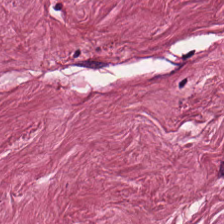H&E — desmoplastic stroma.
